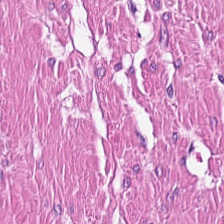224×224 px patch. Whole-slide-image patch. H&E — Tissue type = muscularis.
